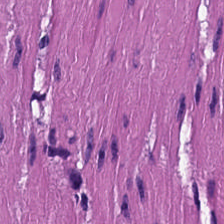224×224 pixel tile. H&E-stained tissue section — Q: What does this patch show?
A: The field shows muscularis.
